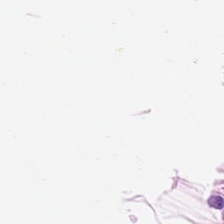Brightfield · hematoxylin-and-eosin stained section. Tissue class — adipose.
